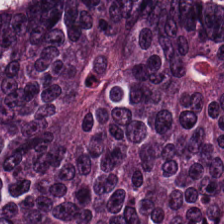224×224 px patch. H&E-stained tissue section. 0.5 µm/px. Classification: adenocarcinoma.
